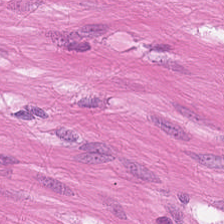Hematoxylin and eosin. Classification = smooth muscle.
